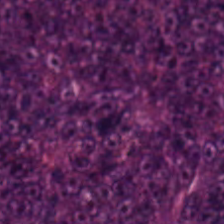H&E-stained tissue section; WSI patch; FFPE tissue section — Tissue class: tumor epithelium.
